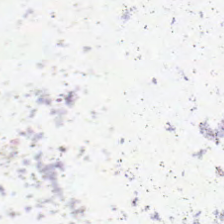Hematoxylin-and-eosin stained section — Histology — no tissue.
